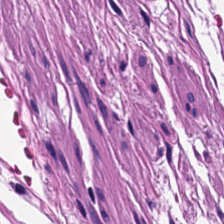Tissue class = muscularis.
